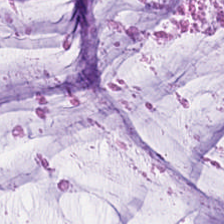H&E.
Finding → mucus.
